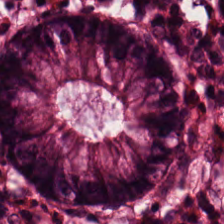Impression → normal colonic mucosa.
